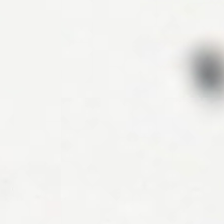H&E stain. Field content: no tissue.
